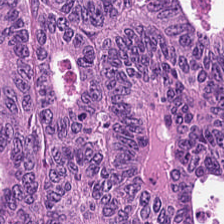Hematoxylin and eosin. Q: What tissue is shown?
A: Malignant epithelium.
